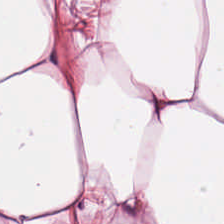Hematoxylin-and-eosin stained section — Q: What is shown in this field?
A: Adipocytes.
